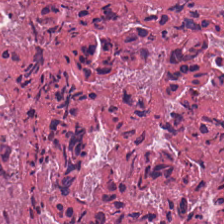H&E — Q: What is the predominant tissue type?
A: Debris.
